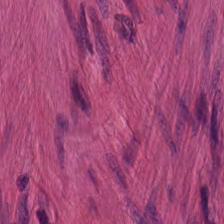FFPE · WSI patch · H&E-stained tissue section — {"tissue_type": "smooth-muscle tissue"}
